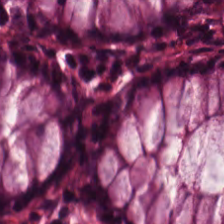H&E — Tissue class — benign colonic mucosa.
